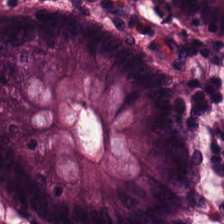224×224 px tile. H&E stain. FFPE tissue section. The predominant tissue is normal colon mucosa.
